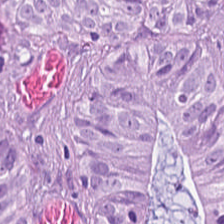H&E stain.
Q: What is the predominant tissue type?
A: The field shows malignant epithelium.
